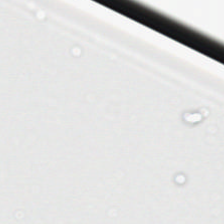Stain: hematoxylin and eosin.
Field content: background (no tissue).
